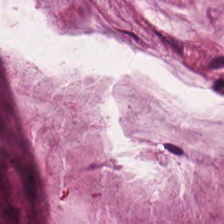H&E — mucus.
